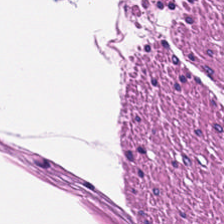WSI patch. Hematoxylin and eosin.
Predominantly muscularis.
